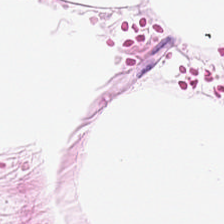Showing fat tissue.
